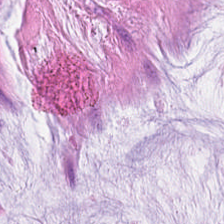0.5 µm/px · hematoxylin and eosin · WSI patch — This patch shows mucus.
